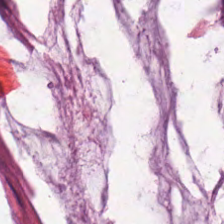Hematoxylin-and-eosin stained section — Tissue type = mucin.
